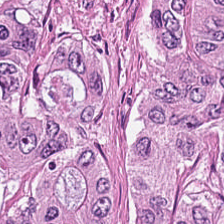Stain: H&E.
Tissue type: colorectal adenocarcinoma.
